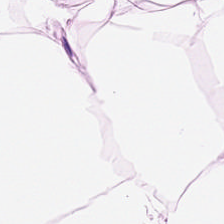0.5 microns per pixel · H&E stain. Tissue: adipose.
